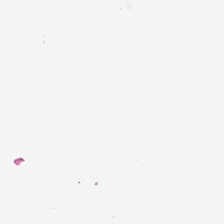H&E.
The classification is no tissue.
